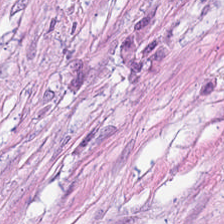Tissue: desmoplastic stroma.
